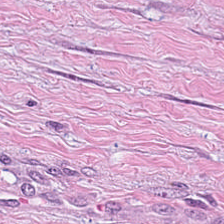Stain: hematoxylin-and-eosin stained section.
Acquisition: WSI patch.
Tissue: tumor stroma.
